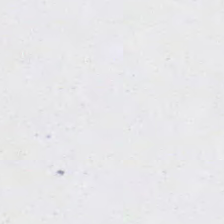H&E-stained tissue section.
Histology — no tissue.
